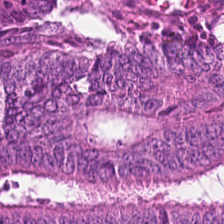Tissue class — malignant epithelium.
